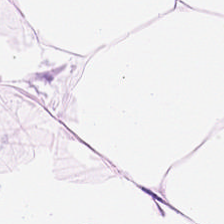0.5 µm per pixel; FFPE tissue section; H&E-stained tissue section — Showing adipose.
